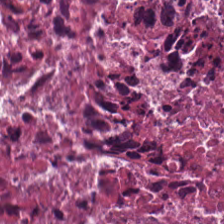Stain: H&E.
Preparation: FFPE.
Predominant tissue: necrotic debris.
